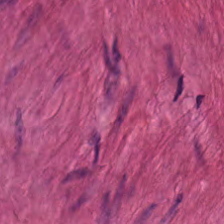Brightfield microscopy. H&E-stained tissue section — The predominant tissue is muscularis.
